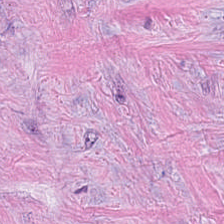0.5 µm/px. Hematoxylin-and-eosin stained section. Q: What is shown here?
A: This is desmoplastic stroma.
